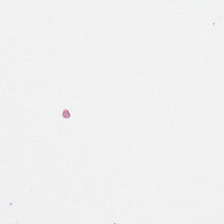Hematoxylin and eosin · brightfield · 20× equivalent magnification. Q: What does this patch show?
A: It is background (no tissue).
